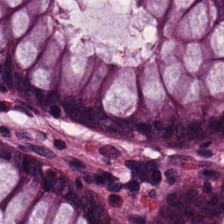Whole-slide-image patch. Hematoxylin-and-eosin stained section.
Tissue type = benign colonic mucosa.
